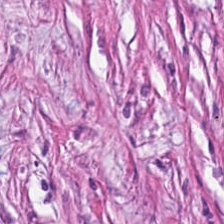224×224 pixel tile; H&E — This field is desmoplastic stroma.
